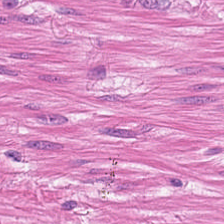Stain: H&E-stained tissue section.
Preparation: FFPE tissue section.
Tissue class: smooth muscle.
